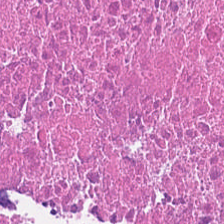H&E stain. The tissue here is debris.
